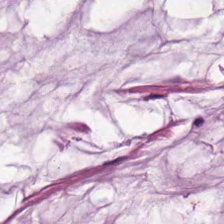H&E; WSI patch; FFPE. Impression — mucus.
